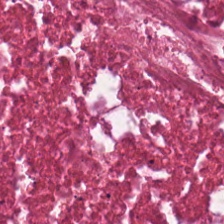FFPE · H&E stain · whole-slide-image patch — This patch shows necrotic debris.
